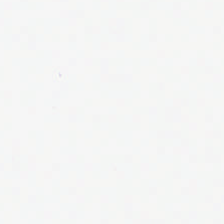Hematoxylin-and-eosin stained section.
Q: What is shown here?
A: It is empty background.
